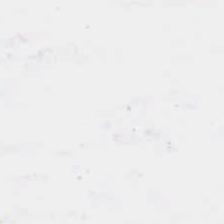Hematoxylin and eosin — Q: What is shown in this field?
A: It is background.
